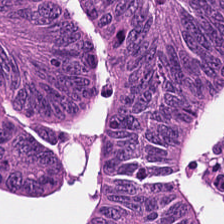Stain: H&E.
Tile size: 224×224 pixel tile.
Tissue: tumor epithelium.
